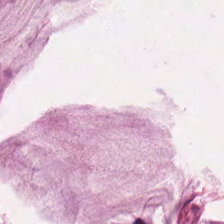H&E; whole-slide-image patch.
Classification: extracellular mucin.
